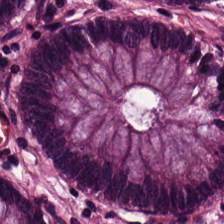H&E-stained tissue section.
Q: What is the predominant tissue type?
A: Benign colonic mucosa.
